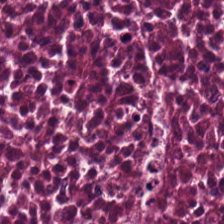H&E patch showing debris.
